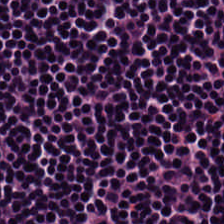H&E stain. Lymphoid infiltrate.
